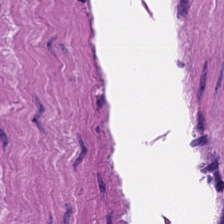Stain: hematoxylin-and-eosin stained section.
Tissue class: muscularis.
